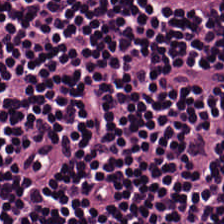Predominantly lymphocyte aggregate.
